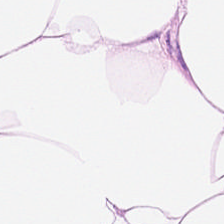Tissue type = adipose.
